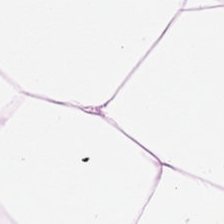Hematoxylin-and-eosin stained section · FFPE tissue section — Adipocytes.
